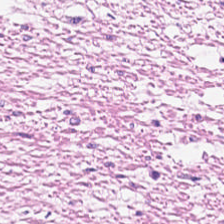Hematoxylin-and-eosin section: smooth-muscle tissue.
